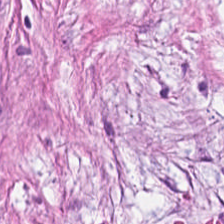Hematoxylin and eosin. Formalin-fixed paraffin-embedded section. 224×224 px tile — Classification = tumor stroma.
